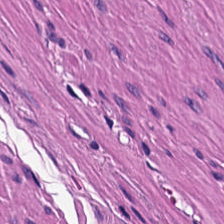H&E stain · whole-slide-image patch — Predominantly muscularis.
